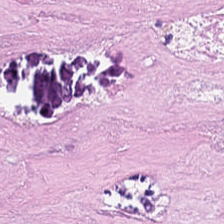H&E-stained tissue section — Showing necrotic debris.
